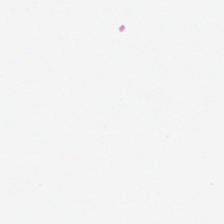H&E stain — Impression → no tissue.
